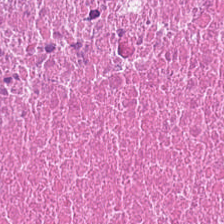H&E-stained tissue section.
Q: What is shown in this field?
A: Necrotic debris.
